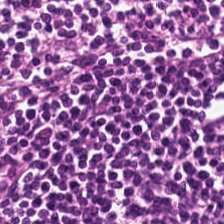H&E; FFPE. Tissue class — lymphoid infiltrate.
